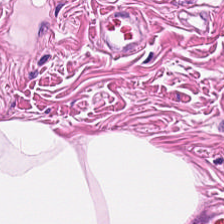Stain: H&E-stained tissue section.
Preparation: FFPE tissue section.
Tissue type: smooth-muscle tissue.
